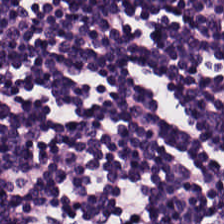H&E-stained tissue section — The tissue class is lymphocyte aggregate.
